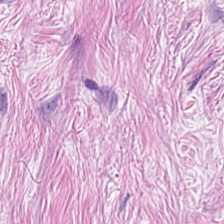Q: What is shown here?
A: It is cancer-associated stroma.
